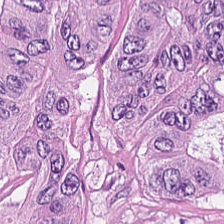0.5 µm/px; H&E.
The predominant tissue is malignant epithelium.
